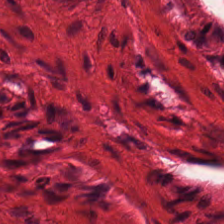Stain: H&E.
Acquisition: WSI patch.
Tile size: 224×224 px patch.
Classification: smooth-muscle tissue.
